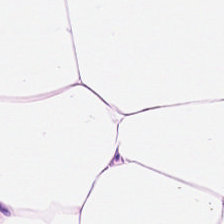Stain: H&E.
Acquisition: whole-slide-image patch.
Classification: adipose.
